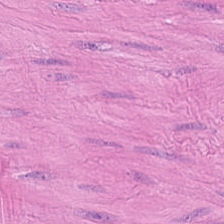H&E stain · 0.5 µm/px. The tissue here is muscularis.
